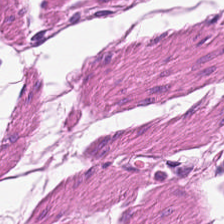Stain: hematoxylin and eosin.
Resolution: 0.5 µm/px.
Tissue class: muscularis.
